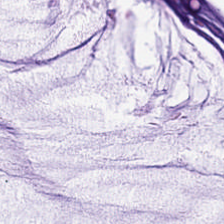Stain: H&E-stained tissue section.
Tissue type: mucus.
